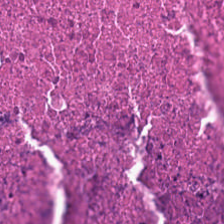H&E.
The classification is cellular debris.
